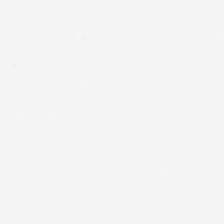H&E stain — This patch shows no tissue.
